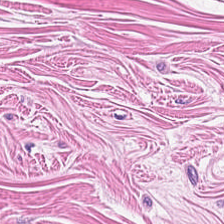Hematoxylin-and-eosin stained section. 0.5 microns per pixel. Impression — muscularis.
